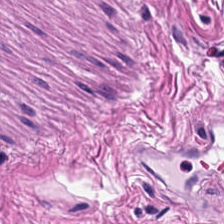H&E stain — Tissue: smooth-muscle tissue.
